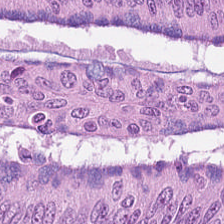Hematoxylin and eosin. Tissue — colorectal adenocarcinoma epithelium.
